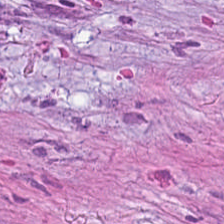Showing cancer-associated stroma.
